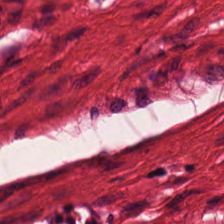224×224 px tile; H&E.
Q: What tissue type is shown here?
A: This is smooth-muscle tissue.
